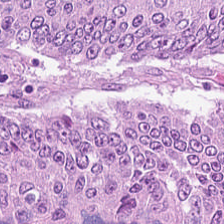Stain: hematoxylin-and-eosin stained section.
Classification: colorectal adenocarcinoma epithelium.
